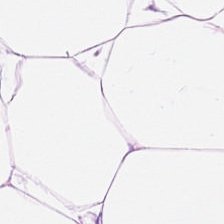224×224 px patch; H&E-stained tissue section.
Showing adipose.
